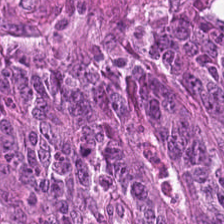H&E stain — {"tissue_type": "tumor epithelium"}
